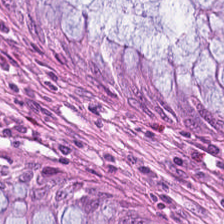H&E-stained tissue section · 224×224 px tile — Q: What is shown in this field?
A: The field shows non-neoplastic colon mucosa.
